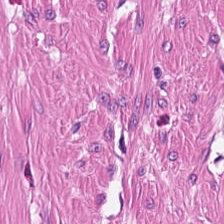Hematoxylin-and-eosin stained section — Smooth-muscle tissue.
